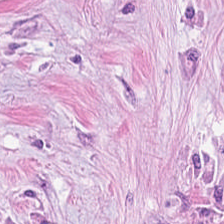H&E — Impression — desmoplastic stroma.
